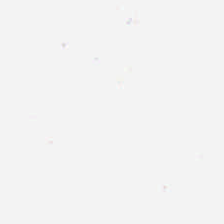20× equivalent magnification; 224×224 px tile; H&E-stained tissue section.
Q: Classify this patch.
A: The field shows no tissue.
